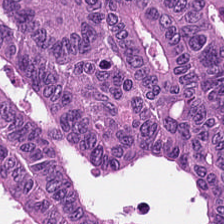Brightfield microscopy · hematoxylin and eosin. Q: What is shown in this field?
A: The field shows colorectal adenocarcinoma.
